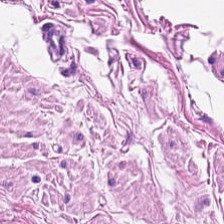H&E.
This patch shows smooth muscle.
